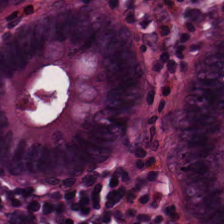Q: What tissue is shown?
A: The field shows benign colonic mucosa.
